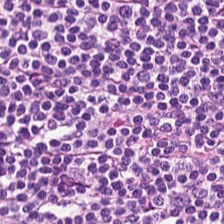Hematoxylin and eosin.
This patch shows lymphocyte aggregate.
